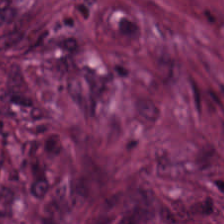H&E-stained tissue section; formalin-fixed paraffin-embedded section.
The tissue is tumor-associated stroma.
